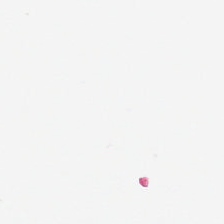H&E; 224×224 px tile; 0.5 µm per pixel.
Impression → background.
